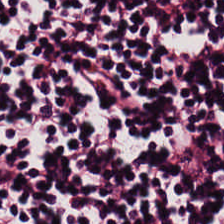Stain: hematoxylin-and-eosin stained section.
Tissue type: lymphocytic infiltrate.
